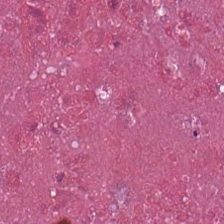Hematoxylin-and-eosin stained section. Showing necrotic debris.
